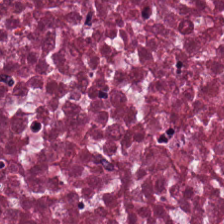Classification = debris.
